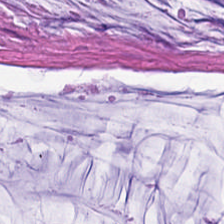Showing mucus.
